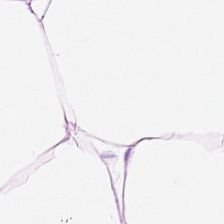Showing adipose tissue.
